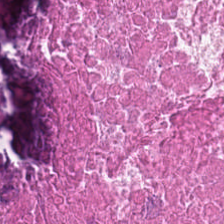H&E.
Finding → necrotic debris.
